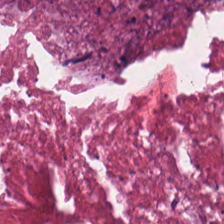224×224 px tile · H&E · brightfield microscopy — This patch shows cellular debris.
